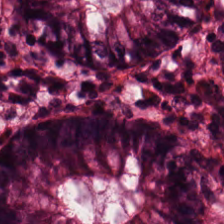The tissue here is benign colonic mucosa.
